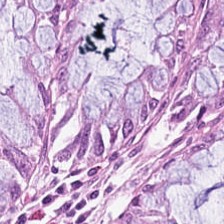H&E stain. Finding — normal colonic mucosa.
